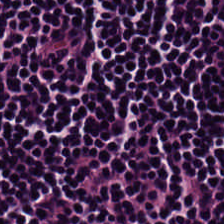Hematoxylin-and-eosin stained section — The tissue class is lymphocytic infiltrate.
